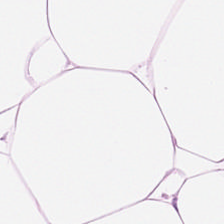0.5 µm per pixel · H&E.
Showing fat tissue.
